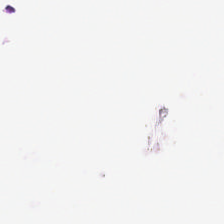0.5 µm/px; H&E stain. Classification = empty background.
